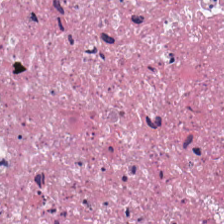224×224 pixel tile · H&E-stained tissue section — This patch shows necrotic debris.
